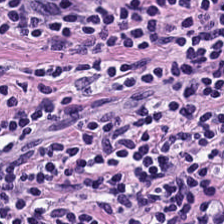Hematoxylin and eosin.
Tissue = lymphocyte aggregate.
